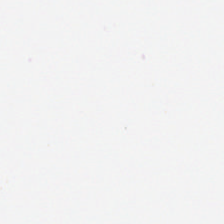FFPE. Hematoxylin and eosin — Background — no tissue in this field.
